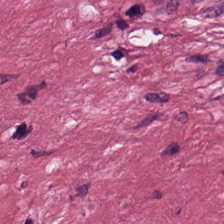224×224 pixel tile · 0.5 µm/px · hematoxylin and eosin. Histology — tumor stroma.
